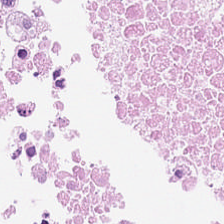224×224 pixel tile; 0.5 microns per pixel; H&E. Tissue type: necrotic debris.
